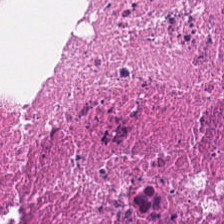Predominant tissue — cellular debris.
